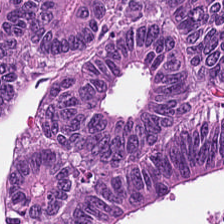Brightfield microscopy; H&E-stained tissue section; 224×224 px tile — Predominant tissue = adenocarcinoma.
